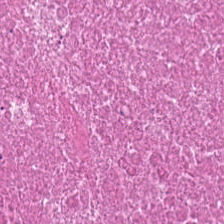Predominant tissue: debris.
